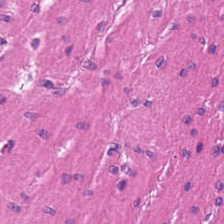WSI patch; 20× equivalent magnification; H&E-stained tissue section. The tissue here is muscularis.
